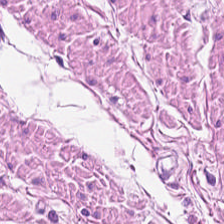FFPE · H&E stain. Showing muscularis.
